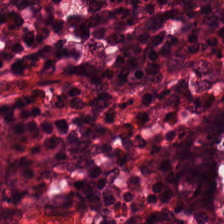Q: What is shown here?
A: The field shows normal colon mucosa.
